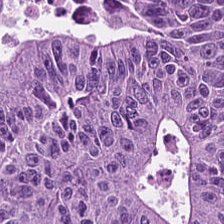FFPE tissue section; H&E stain; 224×224 px tile. Malignant epithelium.
